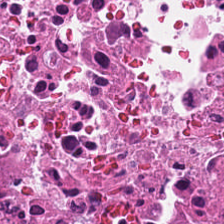{"tissue_type": "debris"}
